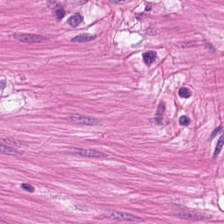H&E-stained section; the field shows muscularis.
